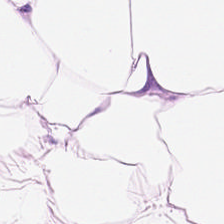H&E. Predominant tissue — fat tissue.
